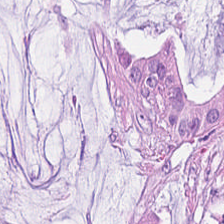H&E-stained section; the field shows mucin.
